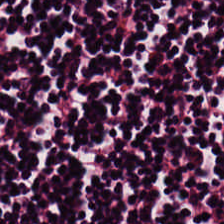20× equivalent magnification; H&E-stained tissue section — The tissue here is lymphoid infiltrate.
